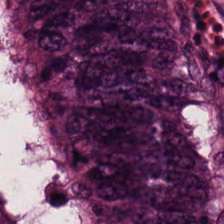Brightfield. H&E. Predominantly colorectal adenocarcinoma.
